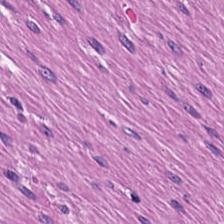Stain: H&E.
Resolution: 20× equivalent magnification.
Tissue: smooth-muscle tissue.
